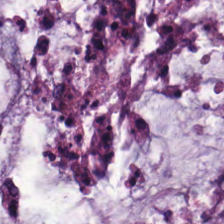H&E stain · 224×224 pixel tile. The predominant tissue is mucus.
